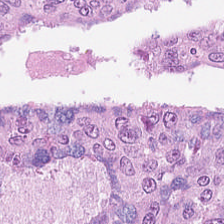H&E patch showing malignant epithelium.
